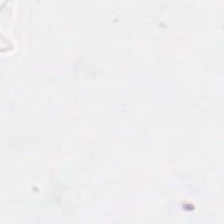Background — no tissue in this field.
